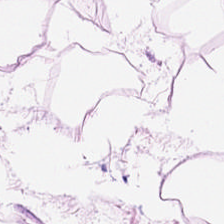{"tissue_type": "adipose"}
